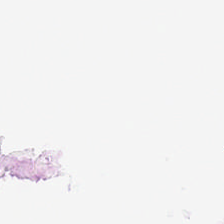Hematoxylin and eosin.
This field is background (no tissue).
